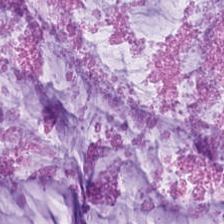0.5 µm/px. 224×224 px patch. H&E.
Q: What is shown here?
A: It is mucin.
